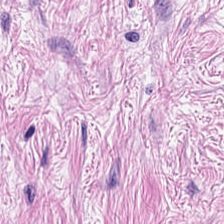Stain: H&E stain.
Tissue: desmoplastic stroma.
